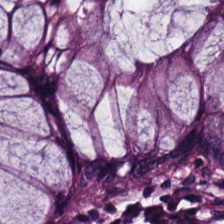Hematoxylin-and-eosin stained section — The tissue here is normal colon mucosa.
